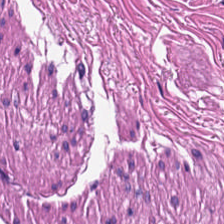H&E-stained tissue section — This field is muscularis.
